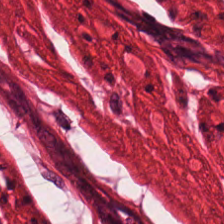H&E stain; 224×224 px patch.
Showing smooth muscle.
